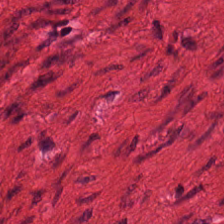H&E-stained tissue section · formalin-fixed paraffin-embedded section.
Q: What is the predominant tissue type?
A: This is smooth muscle.
